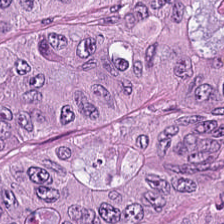H&E stain — {"tissue_type": "tumor epithelium"}
